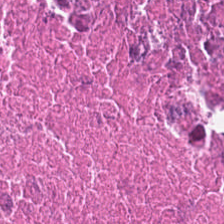Formalin-fixed paraffin-embedded section. H&E stain.
Showing debris.
